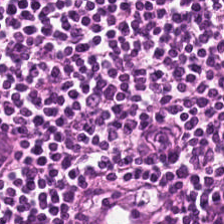H&E stain. Q: What is shown in this field?
A: It is lymphoid infiltrate.
